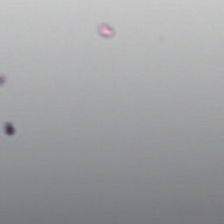224×224 px patch · hematoxylin and eosin.
Field content = background.
